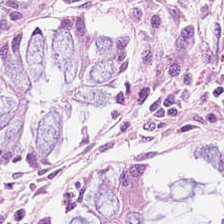Hematoxylin-and-eosin stained section. 224×224 pixel tile.
{"tissue_type": "normal colon mucosa"}
